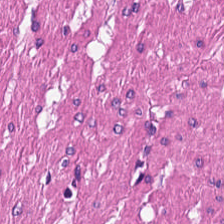224×224 px patch · H&E.
Tissue class — muscularis.
